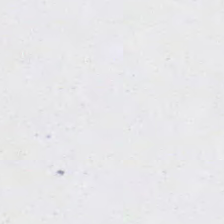Formalin-fixed paraffin-embedded section. Hematoxylin and eosin.
This patch shows background.
